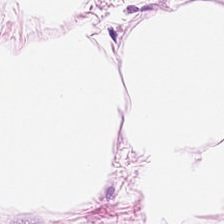H&E — Predominantly adipose tissue.
